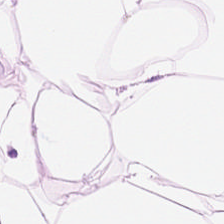H&E stain.
Showing adipocytes.
